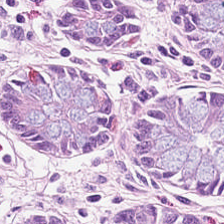H&E-stained tissue section. Tissue type: benign colonic mucosa.
